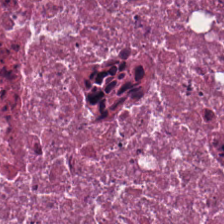Q: What tissue type is shown here?
A: Cellular debris.
